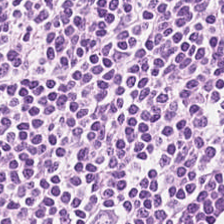Hematoxylin-and-eosin stained section; 224×224 px patch. Showing lymphoid infiltrate.
